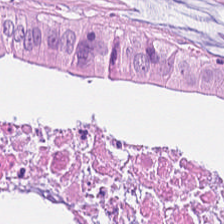Hematoxylin-and-eosin stained section · whole-slide-image patch. Adenocarcinoma.
